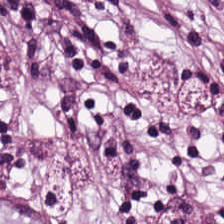Tissue class: tumor stroma.
